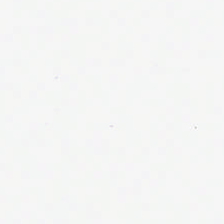H&E-stained tissue section.
Q: What is shown in this field?
A: The field shows background.
